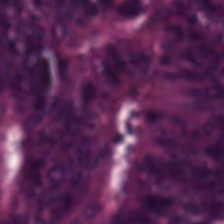FFPE tissue section · H&E. Predominantly adenocarcinoma.
